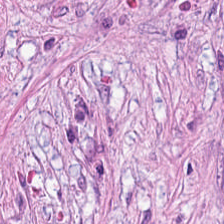Hematoxylin and eosin · brightfield microscopy. The tissue here is tumor stroma.
